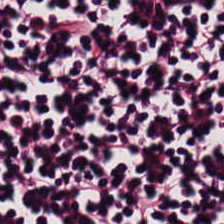Hematoxylin-and-eosin stained section — Histology — lymphocyte aggregate.
